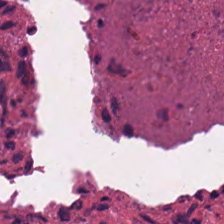Stain: H&E.
Predominant tissue: debris.
